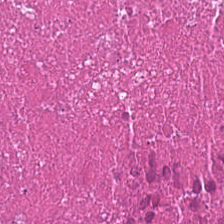224×224 pixel tile; hematoxylin-and-eosin stained section; brightfield. The classification is debris.
